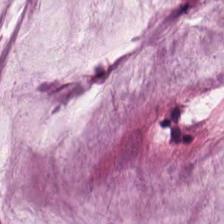0.5 µm per pixel. H&E — The predominant tissue is mucus.
